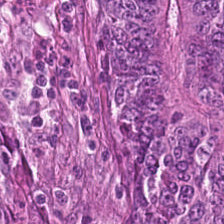H&E stain. Predominantly tumor epithelium.
